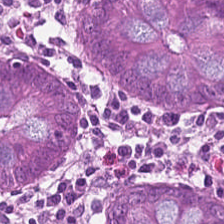Brightfield microscopy. H&E-stained tissue section — Non-neoplastic colon mucosa.
